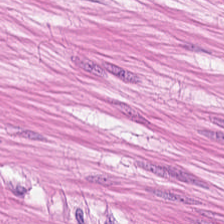Impression — smooth muscle.
